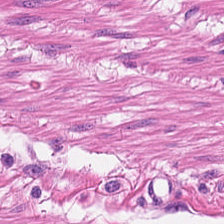H&E-stained tissue section.
The predominant tissue is smooth muscle.
